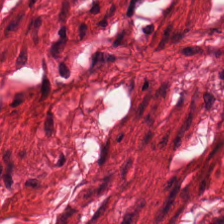H&E-stained section; the field shows smooth muscle.
